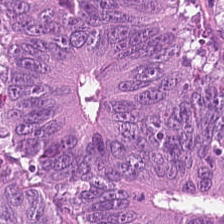The predominant tissue is malignant epithelium.
